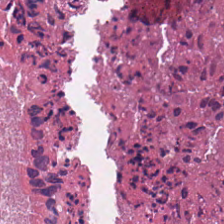The tissue here is cellular debris.
